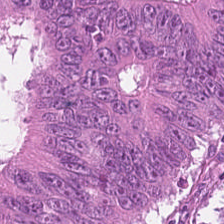Hematoxylin-and-eosin stained section.
Tissue type = colorectal adenocarcinoma epithelium.
